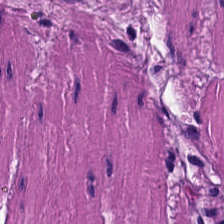Hematoxylin-and-eosin stained section — The tissue is smooth muscle.
